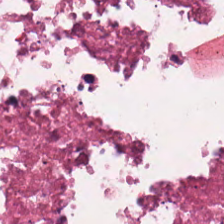Cellular debris.
